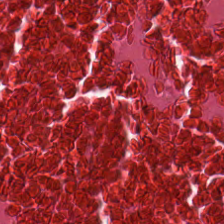H&E. FFPE tissue section — The predominant tissue is cellular debris.
